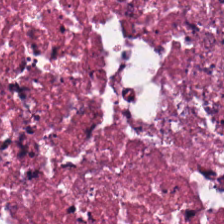H&E stain. This patch shows necrotic debris.
